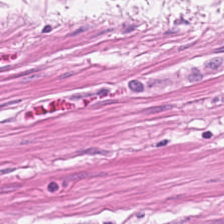H&E-stained tissue section · 0.5 microns per pixel. Showing muscularis.
